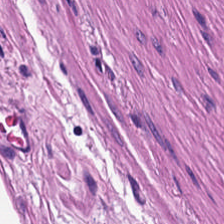H&E-stained tissue section.
Predominantly smooth-muscle tissue.
